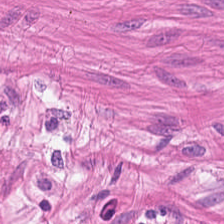Hematoxylin and eosin; WSI patch — Tissue type: smooth muscle.
